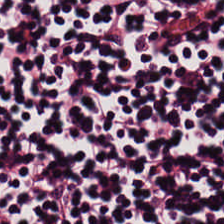Hematoxylin-and-eosin stained section. {"tissue_type": "lymphocyte aggregate"}
